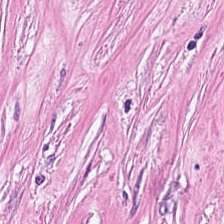224×224 px patch · hematoxylin-and-eosin stained section. Showing tumor stroma.
